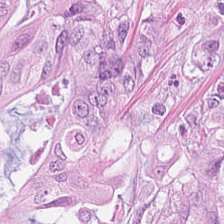H&E-stained tissue section showing colorectal adenocarcinoma epithelium.
